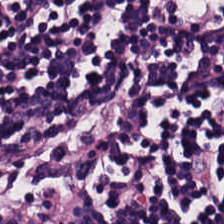Hematoxylin and eosin. Histology → lymphoid infiltrate.
